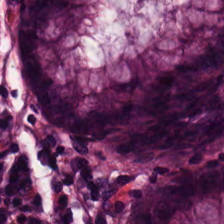224×224 px tile; hematoxylin-and-eosin stained section; 0.5 µm per pixel.
Showing normal colon mucosa.
